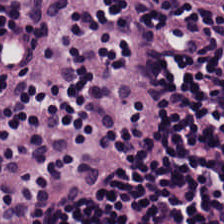Stain: hematoxylin-and-eosin stained section.
Resolution: 0.5 microns per pixel.
Tissue type: lymphocytic infiltrate.
